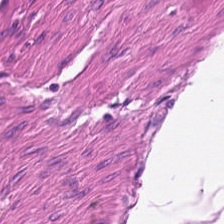Histology → smooth-muscle tissue.
